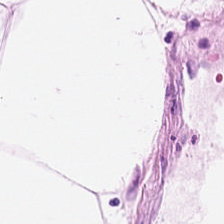Hematoxylin-and-eosin stained section. Q: What tissue is shown?
A: The field shows adipocytes.
